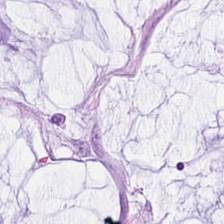Classification — extracellular mucin.
